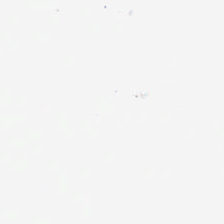H&E; WSI patch.
Q: What does this patch show?
A: This is background (no tissue).
